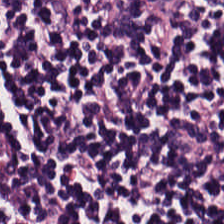Hematoxylin-and-eosin section: lymphocyte aggregate.
